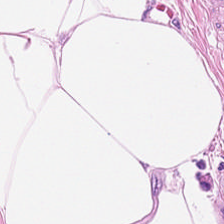Predominantly adipose.
